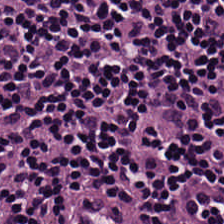Brightfield; H&E-stained tissue section. Tissue type = lymphocytes.
